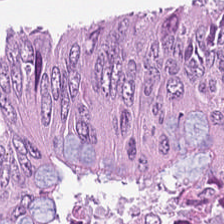Hematoxylin-and-eosin stained section.
Showing colorectal adenocarcinoma.
